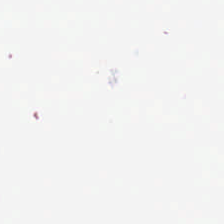Stain: H&E stain.
Content: background.
